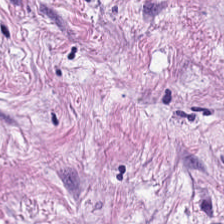Stain: H&E-stained tissue section.
Resolution: 0.5 µm per pixel.
Classification: tumor stroma.
